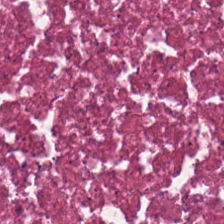Predominant tissue = debris.
